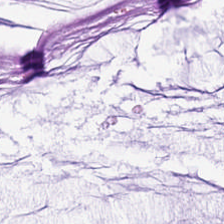H&E stain.
The classification is mucin.
